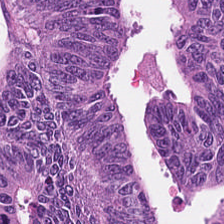H&E.
Tissue class — tumor epithelium.
